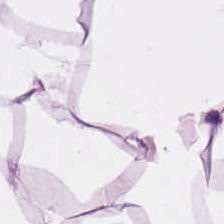H&E stain.
This field is fat tissue.
